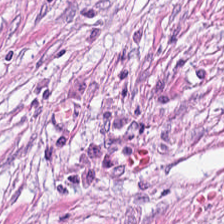Stain: hematoxylin-and-eosin stained section.
Predominant tissue: cancer-associated stroma.
